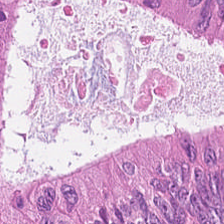0.5 microns per pixel; hematoxylin-and-eosin stained section — {"tissue_type": "colorectal adenocarcinoma"}
